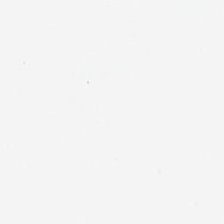{"content": "background (no tissue)"}
